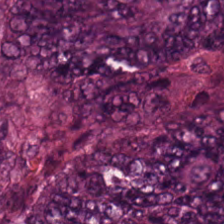This field is mucus.
